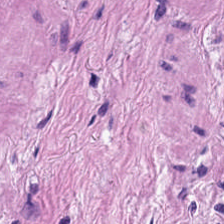Hematoxylin and eosin — Tissue class = smooth-muscle tissue.
